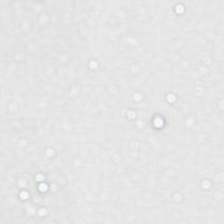Background (no tissue).
